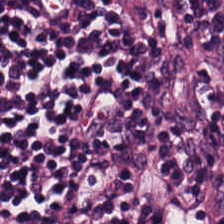H&E-stained tissue section — The tissue here is lymphoid infiltrate.
